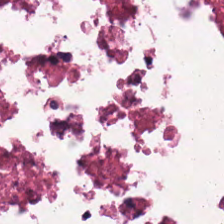FFPE tissue section; H&E.
This patch shows necrotic debris.
